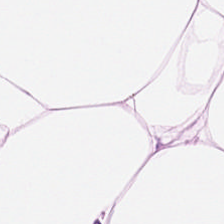H&E; 224×224 px tile. Q: What does this patch show?
A: It is adipose tissue.
